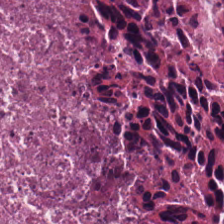Histology — necrotic debris.
